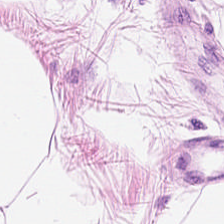H&E · WSI patch · 224×224 pixel tile. This patch shows adipose tissue.
